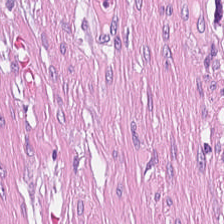The predominant tissue is cancer-associated stroma.
